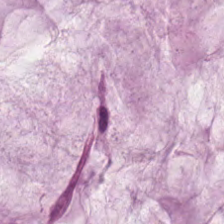Formalin-fixed paraffin-embedded section. H&E-stained tissue section.
The predominant tissue is mucus.
